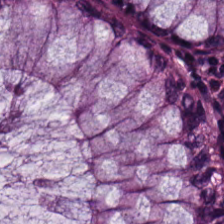H&E stain.
Predominantly normal colon mucosa.
